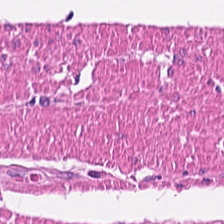Hematoxylin and eosin.
Tissue class = smooth-muscle tissue.
